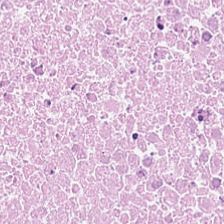224×224 px patch. Hematoxylin and eosin. 20× equivalent magnification.
Q: What is the predominant tissue type?
A: It is necrotic debris.
